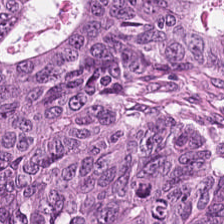{"tissue_type": "malignant epithelium"}
